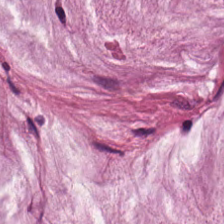Classification = extracellular mucin.
